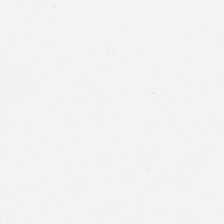H&E-stained tissue section — This field is background (no tissue).
